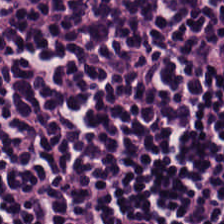224×224 px patch. H&E-stained tissue section. Tissue type = lymphocytes.
